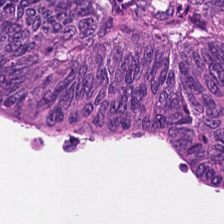224×224 px patch. Hematoxylin and eosin. FFPE — Predominantly colorectal adenocarcinoma.
